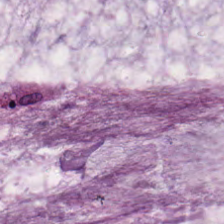Hematoxylin-and-eosin stained section.
Mucin.
